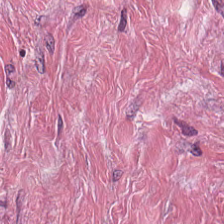FFPE. H&E. Histology — tumor stroma.
